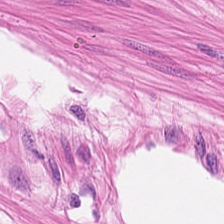H&E stain — Tissue type — smooth-muscle tissue.
